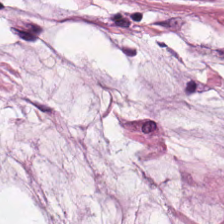Formalin-fixed paraffin-embedded section · hematoxylin and eosin. {"tissue_type": "mucin"}
